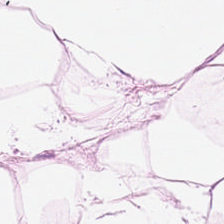Hematoxylin and eosin; FFPE; brightfield. Adipose.
